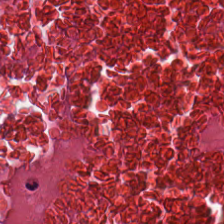H&E-stained tissue section.
Q: What is shown here?
A: Necrotic debris.
